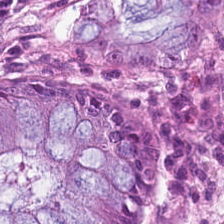FFPE. Hematoxylin-and-eosin stained section. This field is normal colon mucosa.
